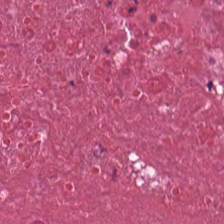H&E; FFPE tissue section; 0.5 microns per pixel.
Q: What type of tissue is this?
A: The field shows debris.
